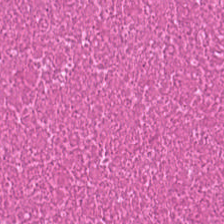Formalin-fixed paraffin-embedded section · brightfield · H&E — Tissue class: necrotic debris.
